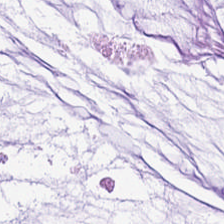H&E-stained tissue section.
Finding — extracellular mucin.
